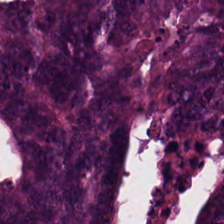The predominant tissue is colorectal adenocarcinoma.
